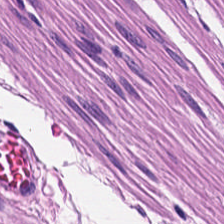Formalin-fixed paraffin-embedded section; brightfield microscopy; H&E-stained tissue section.
Finding → muscularis.
